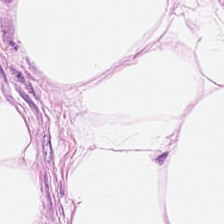Hematoxylin-and-eosin stained section · FFPE — Tissue type: adipocytes.
